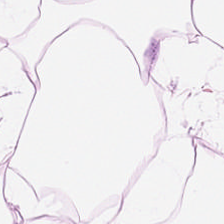H&E — This field is adipocytes.
